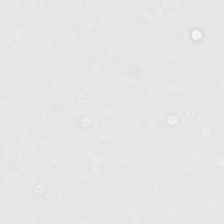0.5 microns per pixel; 224×224 px patch; hematoxylin and eosin — Content = background (no tissue).
